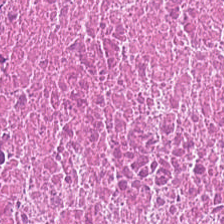Formalin-fixed paraffin-embedded section · 0.5 microns per pixel · H&E-stained tissue section — The predominant tissue is cellular debris.
